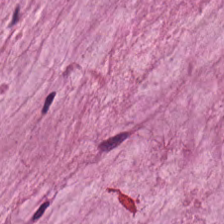H&E-stained tissue section. 224×224 px tile. Predominantly mucin.
